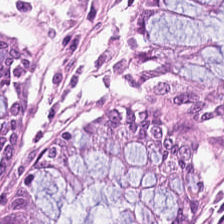H&E stain. Brightfield microscopy — Tissue class — normal colon mucosa.
